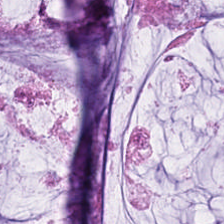Hematoxylin-and-eosin stained section · FFPE tissue section. {"tissue_type": "extracellular mucin"}
